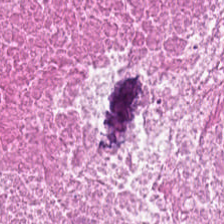This patch shows necrotic debris.
